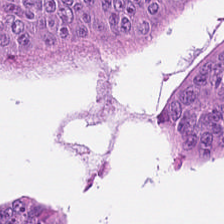H&E stain. Brightfield microscopy. Showing adenocarcinoma.
